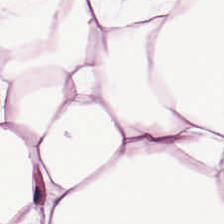224×224 px patch · hematoxylin-and-eosin stained section · whole-slide-image patch.
This patch shows adipose tissue.
